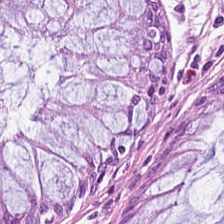Normal colon mucosa.
